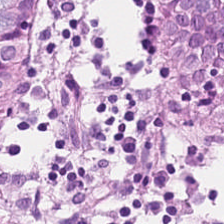224×224 px tile. H&E stain. 0.5 µm/px.
Tissue — normal colon mucosa.
